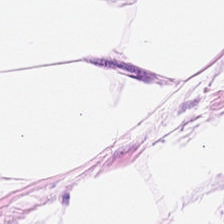H&E — Classification — adipose.
